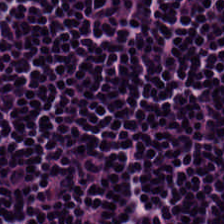Hematoxylin and eosin. Q: What is shown here?
A: The field shows lymphoid infiltrate.
